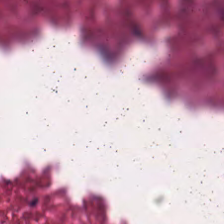Hematoxylin and eosin — Showing cellular debris.
